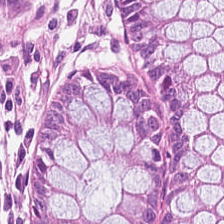224×224 px tile. H&E stain.
Predominantly normal colon mucosa.
